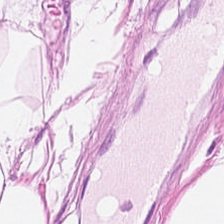Hematoxylin and eosin; 224×224 pixel tile. Predominantly adipose tissue.
